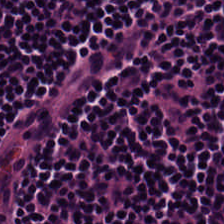224×224 px tile · FFPE tissue section · H&E stain.
Tissue type: lymphocytic infiltrate.
